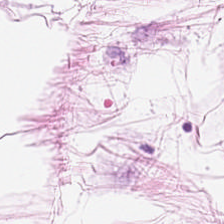Stain: H&E stain.
Tissue type: adipocytes.
